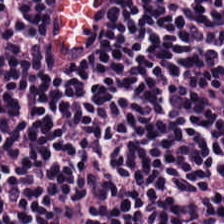0.5 µm/px · H&E stain · 224×224 pixel tile.
The predominant tissue is lymphocytes.
